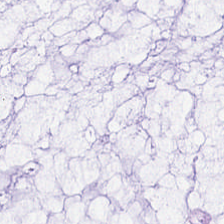H&E — Predominantly extracellular mucin.
